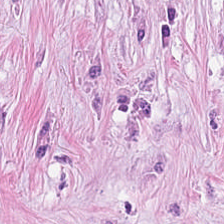Stain: H&E-stained tissue section.
Tile size: 224×224 px tile.
Acquisition: brightfield.
Tissue: tumor-associated stroma.
